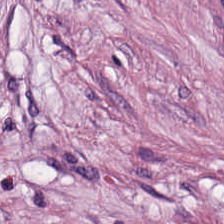Hematoxylin-and-eosin stained section — The predominant tissue is cancer-associated stroma.
